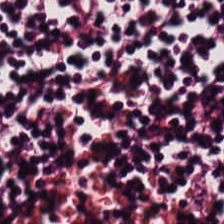224×224 px tile · H&E-stained tissue section.
Q: What is the predominant tissue type?
A: Lymphoid infiltrate.
